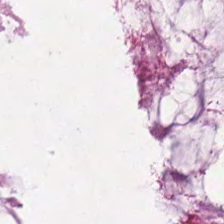Hematoxylin and eosin — Tissue type — extracellular mucin.
